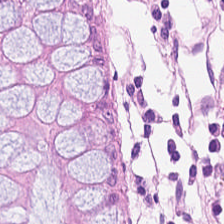Hematoxylin and eosin.
Q: What tissue type is shown here?
A: This is benign colonic mucosa.
